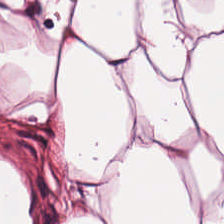Hematoxylin-and-eosin stained section — Tissue — adipocytes.
